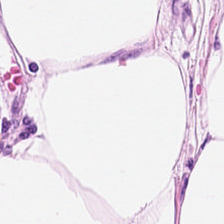H&E. FFPE tissue section — Tissue type: adipose tissue.
